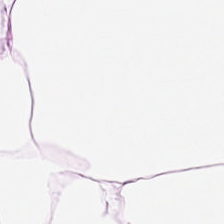FFPE tissue section. WSI patch. H&E — {"tissue_type": "adipose tissue"}
